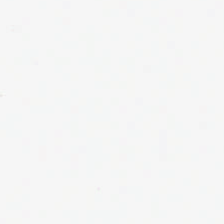224×224 px tile. H&E-stained tissue section — Finding — background (no tissue).
